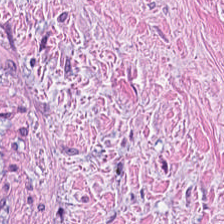Q: Classify this patch.
A: It is desmoplastic stroma.
